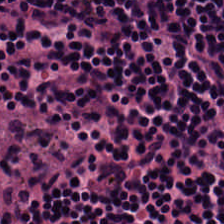H&E-stained tissue section — The tissue here is lymphocytes.
